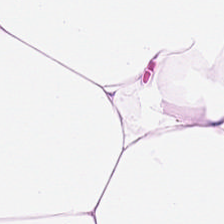WSI patch · 224×224 pixel tile · hematoxylin and eosin. The tissue here is adipocytes.
